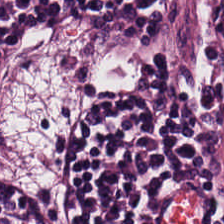H&E patch showing lymphocytes.
